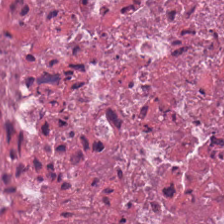Hematoxylin-and-eosin stained section · 0.5 µm/px — Tissue type — debris.
